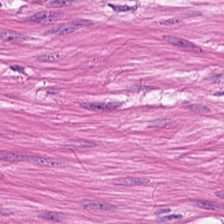Hematoxylin and eosin. Showing smooth-muscle tissue.
